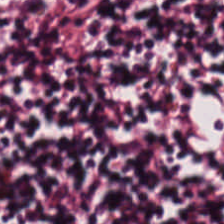H&E; brightfield — The predominant tissue is lymphocyte aggregate.
